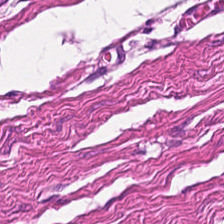Hematoxylin and eosin. {"tissue_type": "smooth muscle"}
